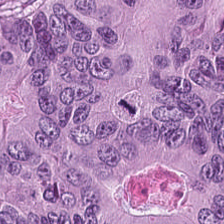Brightfield microscopy · H&E stain. Predominantly colorectal adenocarcinoma.
